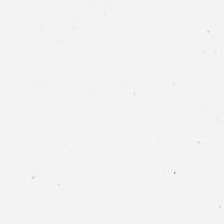Hematoxylin and eosin — Empty field — background (no tissue).
